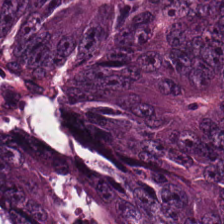224×224 px tile. H&E-stained tissue section.
This field is malignant epithelium.
